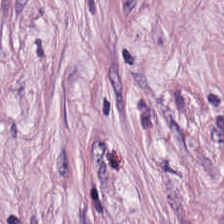Hematoxylin-and-eosin stained section.
Impression — desmoplastic stroma.
